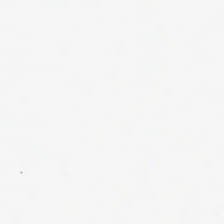Background — no tissue in this field.
